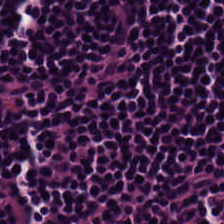H&E stain; 224×224 px patch. The classification is lymphocyte aggregate.
